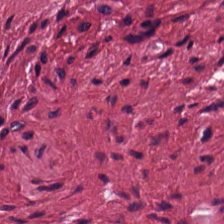Whole-slide-image patch. H&E-stained tissue section. 224×224 px patch. The predominant tissue is cancer-associated stroma.
